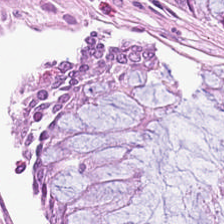H&E stain — Q: What tissue type is shown here?
A: This is benign colonic mucosa.
